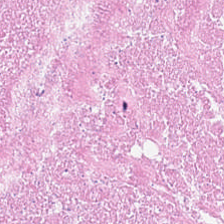H&E-stained tissue section. Finding — necrotic debris.
